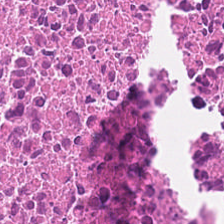Hematoxylin and eosin. Brightfield microscopy.
Showing necrotic debris.
